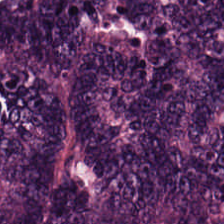Brightfield · H&E stain · FFPE tissue section — The classification is colorectal adenocarcinoma epithelium.
